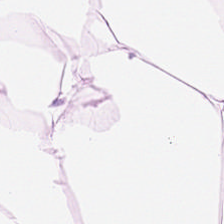H&E. Classification = adipose.
